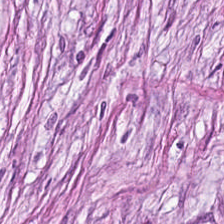H&E. Classification: tumor stroma.
